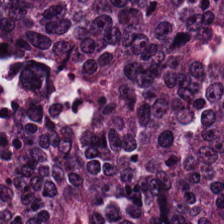Hematoxylin-and-eosin stained section. Finding → adenocarcinoma.
